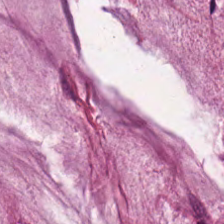H&E stain.
Showing mucus.
